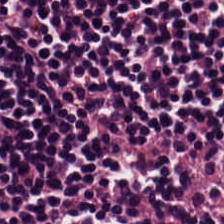Brightfield; H&E; formalin-fixed paraffin-embedded section. The predominant tissue is lymphocytic infiltrate.
